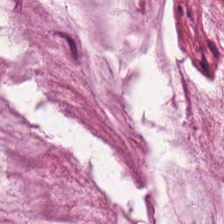224×224 px tile. H&E-stained tissue section. Predominant tissue = extracellular mucin.
